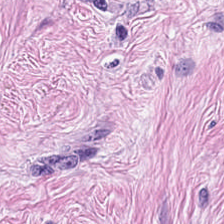Impression — desmoplastic stroma.
